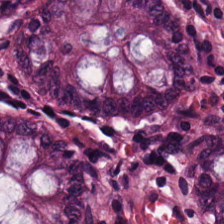H&E — The tissue here is benign colonic mucosa.
